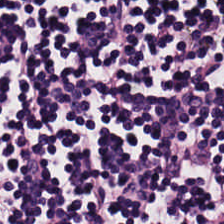Hematoxylin-and-eosin stained section. This patch shows lymphoid infiltrate.
